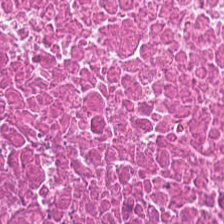Formalin-fixed paraffin-embedded section; hematoxylin-and-eosin stained section — Q: What does this patch show?
A: Cellular debris.
